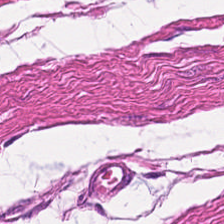Showing smooth muscle.
